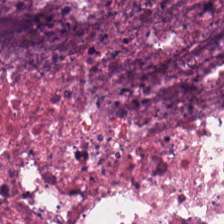H&E-stained section; the field shows necrotic debris.
